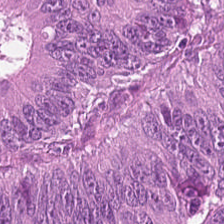Hematoxylin-and-eosin stained section — Classification — malignant epithelium.
